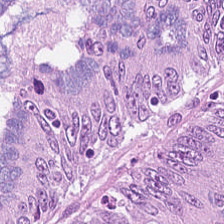Whole-slide-image patch. H&E-stained tissue section. Showing colorectal adenocarcinoma.
